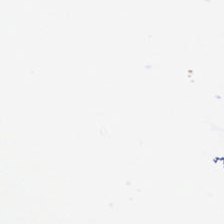Stain: H&E-stained tissue section.
Classification: empty background.
